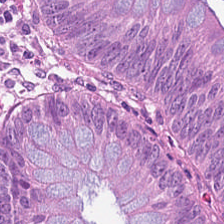Hematoxylin-and-eosin stained section · 224×224 px tile.
Classification — adenocarcinoma.
